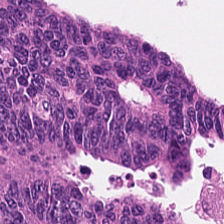Stain: H&E.
Predominant tissue: malignant epithelium.
